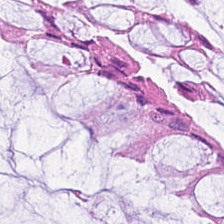20× equivalent magnification · H&E-stained tissue section. Predominant tissue: normal colon mucosa.
